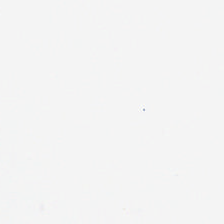H&E. FFPE tissue section. 224×224 px tile — Q: What does this patch show?
A: This is background (no tissue).
